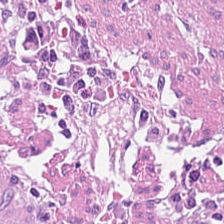Q: What type of tissue is this?
A: The field shows desmoplastic stroma.
